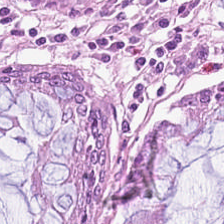Q: What tissue type is shown here?
A: This is benign colonic mucosa.
